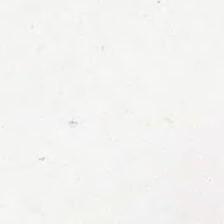Formalin-fixed paraffin-embedded section. WSI patch. Hematoxylin-and-eosin stained section — Empty field — no tissue.
